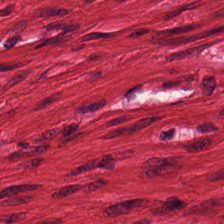Hematoxylin and eosin — Tissue type — muscularis.
